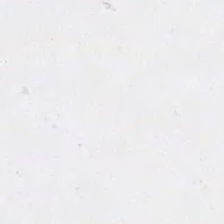H&E. Empty field — background.
